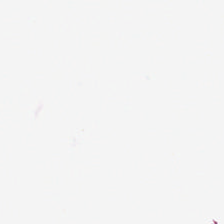H&E stain — No tissue present; background only.
